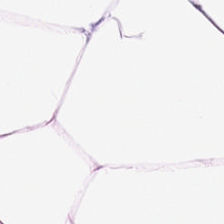H&E stain. Tissue type — fat tissue.
